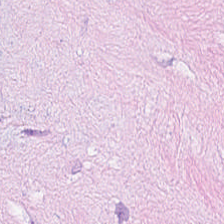H&E. Histology → cancer-associated stroma.
